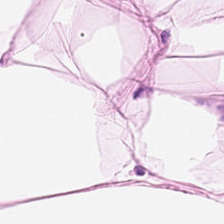H&E-stained tissue section; FFPE tissue section.
Predominantly fat tissue.
